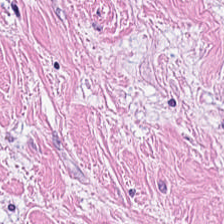H&E. Brightfield microscopy. The predominant tissue is desmoplastic stroma.
